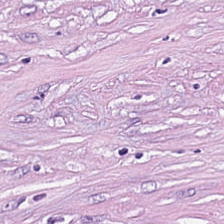Hematoxylin-and-eosin stained section. Showing desmoplastic stroma.
